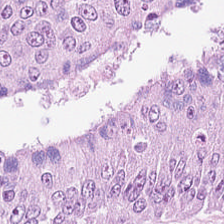H&E stain. FFPE tissue section. Predominant tissue = colorectal adenocarcinoma.
